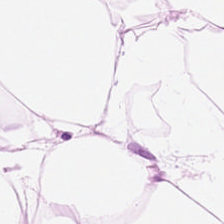Hematoxylin and eosin. Q: Classify this patch.
A: Adipocytes.
